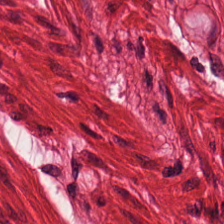H&E — smooth-muscle tissue.
